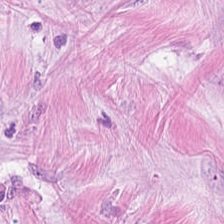Hematoxylin-and-eosin stained section. Formalin-fixed paraffin-embedded section. 224×224 pixel tile — Finding — cancer-associated stroma.
